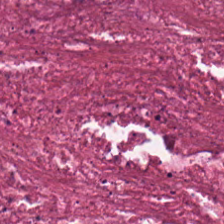224×224 pixel tile. H&E stain — Predominant tissue: cellular debris.
